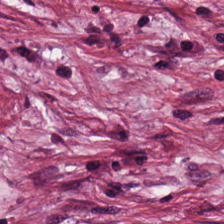{"tissue_type": "desmoplastic stroma"}
